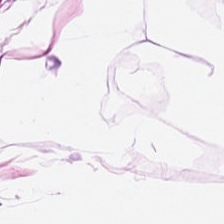Tissue: adipose.
